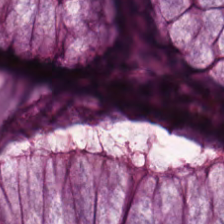{"tissue_type": "benign colonic mucosa"}
